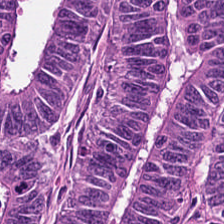FFPE; hematoxylin-and-eosin stained section; brightfield — The predominant tissue is tumor epithelium.
